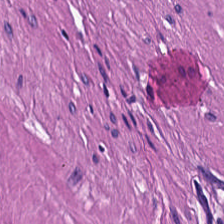224×224 px patch · H&E-stained tissue section · 0.5 µm per pixel.
Predominant tissue — muscularis.
